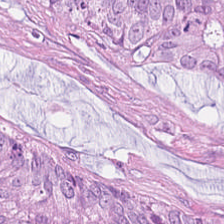Q: What tissue is shown?
A: It is adenocarcinoma.
